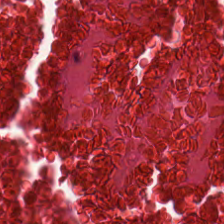Hematoxylin-and-eosin stained section — Q: What does this patch show?
A: This is debris.
